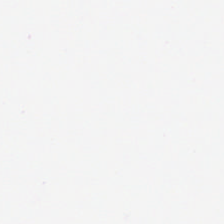Field content — empty background.
